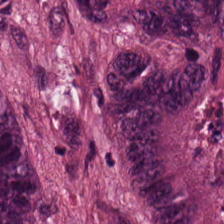Predominant tissue = tumor epithelium.
